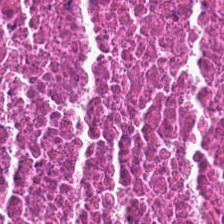Predominantly cellular debris.
